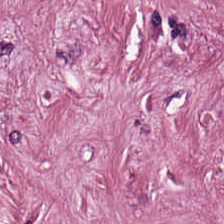Brightfield microscopy; 0.5 µm/px; hematoxylin and eosin.
Classification — tumor stroma.
